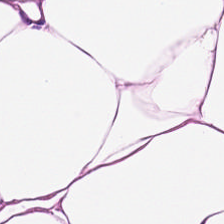Stain: hematoxylin and eosin.
Predominant tissue: fat tissue.
